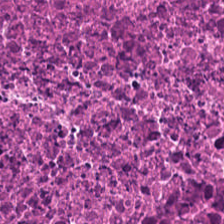Hematoxylin and eosin; brightfield — Q: What does this patch show?
A: It is necrotic debris.
